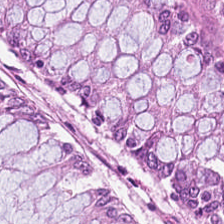H&E stain — Non-neoplastic colon mucosa.
